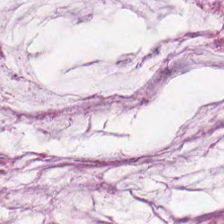H&E.
Q: What is shown here?
A: The field shows extracellular mucin.
